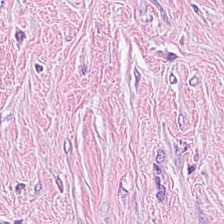Hematoxylin and eosin. Histology → tumor stroma.
